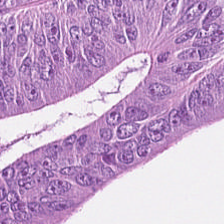Impression → colorectal adenocarcinoma epithelium.
